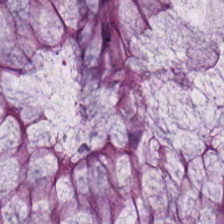Hematoxylin and eosin. 224×224 px patch. Predominantly normal colon mucosa.
